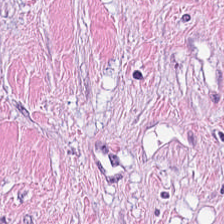H&E-stained tissue section · 0.5 µm/px. Tissue class — desmoplastic stroma.
